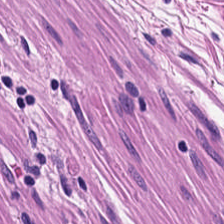The predominant tissue is smooth muscle.
